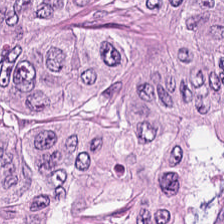H&E-stained tissue section. This patch shows tumor epithelium.
